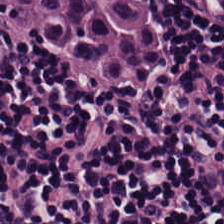H&E-stained tissue section.
The tissue class is lymphocytes.
